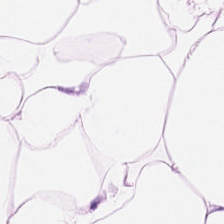0.5 microns per pixel · formalin-fixed paraffin-embedded section · H&E-stained tissue section.
Predominantly fat tissue.
